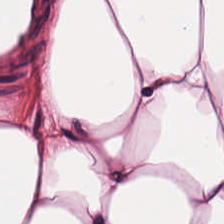Hematoxylin-and-eosin stained section — This field is adipocytes.
